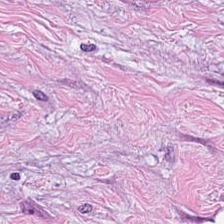Q: Classify this patch.
A: The field shows desmoplastic stroma.
